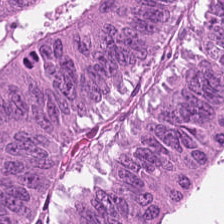Tissue class = colorectal adenocarcinoma.
